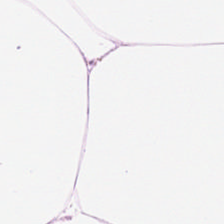Q: What tissue type is shown here?
A: This is adipose.
